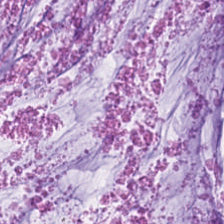20× equivalent magnification. H&E-stained tissue section — Finding → extracellular mucin.
